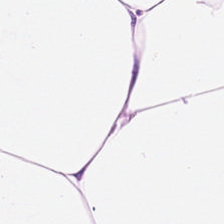This patch shows adipocytes.
